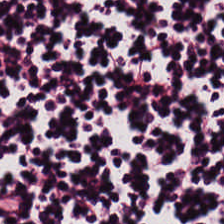Brightfield · hematoxylin and eosin. Tissue type: lymphocytic infiltrate.
